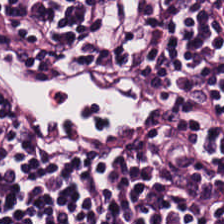224×224 pixel tile · hematoxylin-and-eosin stained section. This field is lymphoid infiltrate.
